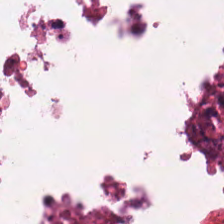Stain: H&E.
Predominant tissue: cellular debris.
